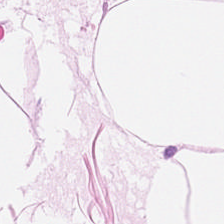Hematoxylin and eosin. The tissue type is adipocytes.
